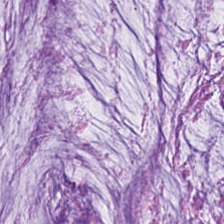H&E-stained section; the field shows mucus.
